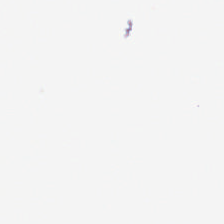0.5 µm/px; H&E stain.
{"content": "background (no tissue)"}
